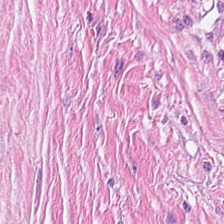H&E. Finding — cancer-associated stroma.
